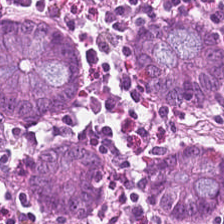H&E stain; brightfield.
Predominant tissue — benign colonic mucosa.
